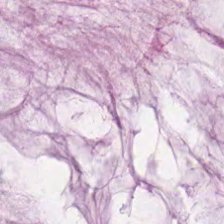H&E stain — Q: What does this patch show?
A: It is mucin.
